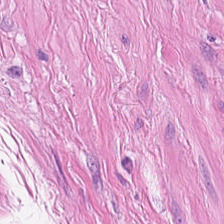Q: What is the predominant tissue type?
A: Smooth muscle.
